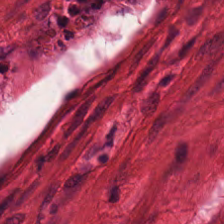Hematoxylin-and-eosin stained section.
Impression — smooth muscle.
